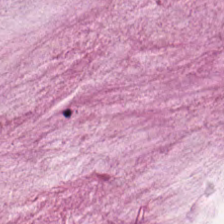Tissue class = extracellular mucin.
